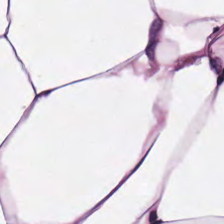H&E; 224×224 px patch.
This field is adipose.
